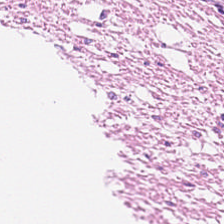Q: What is shown in this field?
A: This is muscularis.
